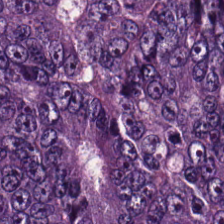Hematoxylin and eosin.
Finding → adenocarcinoma.
